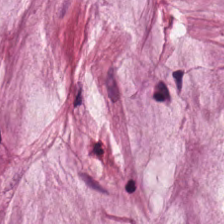Extracellular mucin.
